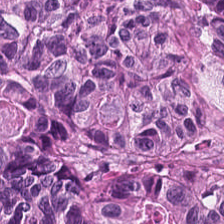Showing colorectal adenocarcinoma epithelium.
